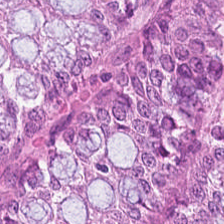Q: What is shown in this field?
A: Normal colon mucosa.
